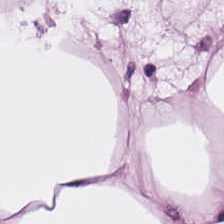Predominantly adipose tissue.
